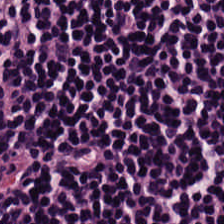Hematoxylin-and-eosin stained section · FFPE · 224×224 px patch.
Showing lymphocytic infiltrate.
